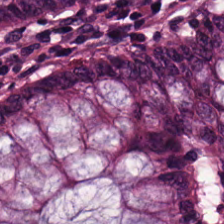H&E-stained tissue section; formalin-fixed paraffin-embedded section — Q: What tissue type is shown here?
A: It is normal colon mucosa.
